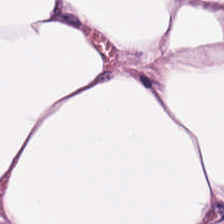Hematoxylin and eosin — {"tissue_type": "fat tissue"}
